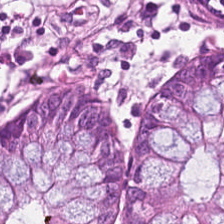Brightfield microscopy; H&E-stained tissue section; 224×224 pixel tile — The tissue class is normal colon mucosa.
